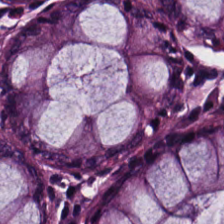Whole-slide-image patch; 0.5 microns per pixel; hematoxylin-and-eosin stained section.
Q: Identify the tissue.
A: It is normal colonic mucosa.
